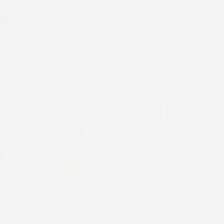This patch shows no tissue.
